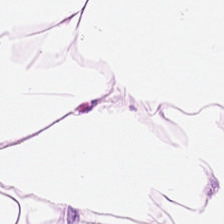Hematoxylin and eosin.
The tissue class is fat tissue.
